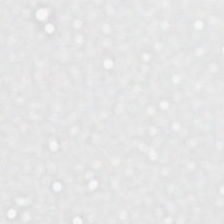224×224 pixel tile; H&E-stained tissue section — Background — no tissue in this field.
